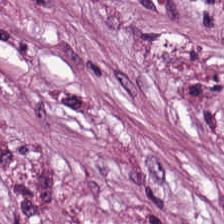H&E stain. The tissue here is tumor-associated stroma.
